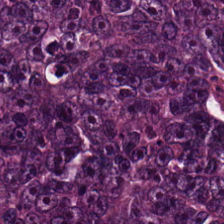Stain: H&E-stained tissue section.
Tissue: colorectal adenocarcinoma epithelium.
